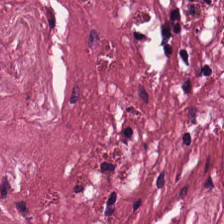Hematoxylin-and-eosin stained section. This patch shows tumor stroma.
